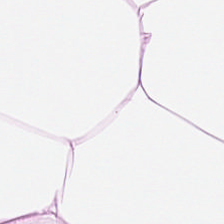Hematoxylin-and-eosin stained section · formalin-fixed paraffin-embedded section.
The predominant tissue is adipose.
